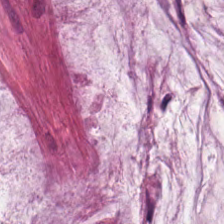H&E.
Mucus.
